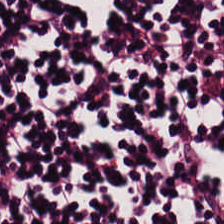Formalin-fixed paraffin-embedded section; H&E stain; brightfield — Impression — lymphocytes.
